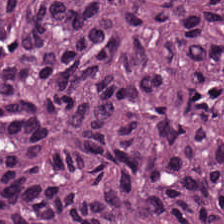{"tissue_type": "tumor epithelium"}
